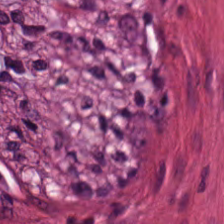Tissue — smooth muscle.
